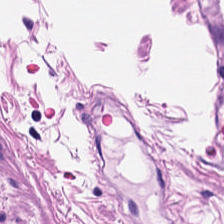Finding — smooth-muscle tissue.
